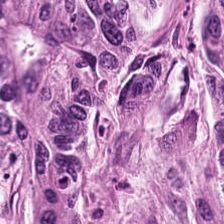Stain: hematoxylin-and-eosin stained section.
Preparation: FFPE tissue section.
Classification: colorectal adenocarcinoma epithelium.
